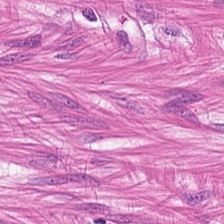The predominant tissue is muscularis.
